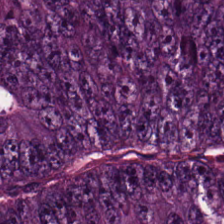Q: What is shown here?
A: Adenocarcinoma.
